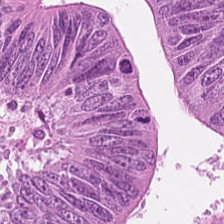Q: Identify the tissue.
A: The field shows malignant epithelium.
